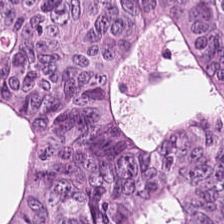H&E stain · 0.5 µm per pixel — Q: Classify this patch.
A: It is colorectal adenocarcinoma.
